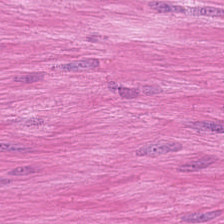H&E-stained section; the field shows muscularis.
